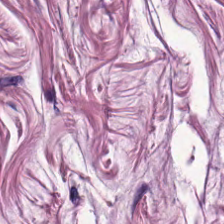0.5 µm per pixel · H&E-stained tissue section — The predominant tissue is muscularis.
